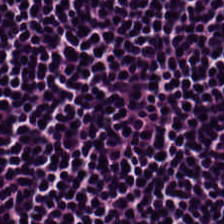FFPE tissue section; hematoxylin-and-eosin stained section. The predominant tissue is lymphoid infiltrate.
